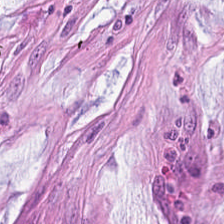WSI patch; 224×224 pixel tile; H&E-stained tissue section — The predominant tissue is mucus.
